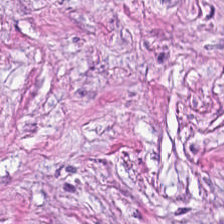Stain: H&E.
Predominant tissue: tumor-associated stroma.
